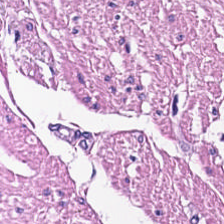H&E · brightfield — The predominant tissue is smooth muscle.
